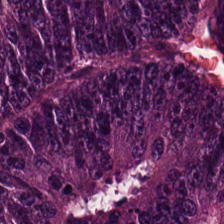H&E. Histology → malignant epithelium.
